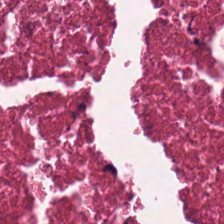H&E-stained tissue section — Impression — cellular debris.
